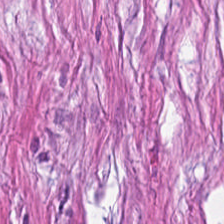224×224 pixel tile · H&E-stained tissue section · formalin-fixed paraffin-embedded section.
Classification = cancer-associated stroma.
